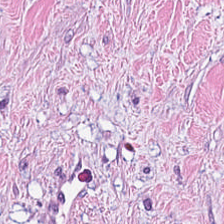Brightfield; H&E — {"tissue_type": "desmoplastic stroma"}
